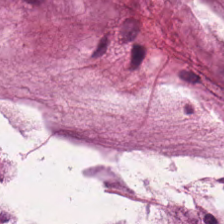Hematoxylin-and-eosin stained section.
Impression → mucin.
